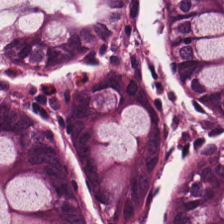The predominant tissue is normal colon mucosa.
